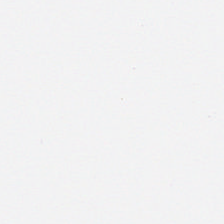Finding → background.
